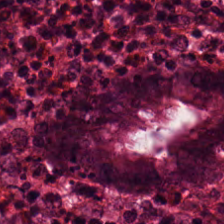H&E — Impression — normal colonic mucosa.
